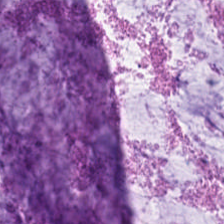Extracellular mucin.
